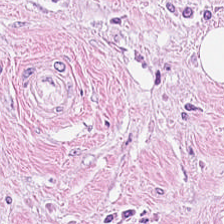Stain: hematoxylin-and-eosin stained section.
Classification: desmoplastic stroma.
